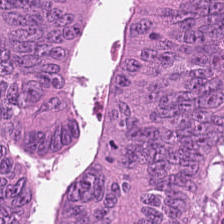Hematoxylin-and-eosin stained section.
The predominant tissue is malignant epithelium.
